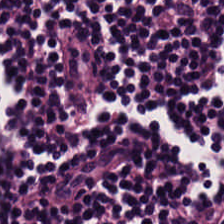Stain: hematoxylin-and-eosin stained section.
Resolution: 0.5 µm per pixel.
Tissue type: lymphocyte aggregate.
